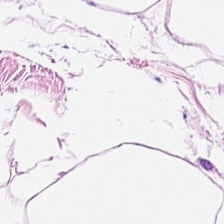0.5 µm per pixel. H&E stain — {"tissue_type": "adipocytes"}
